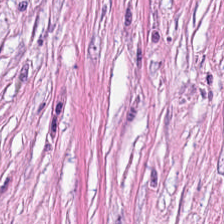H&E stain; 0.5 microns per pixel — Finding → desmoplastic stroma.
